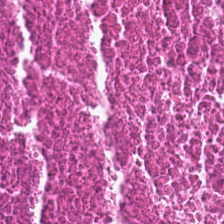Whole-slide-image patch. H&E.
Histology — necrotic debris.
